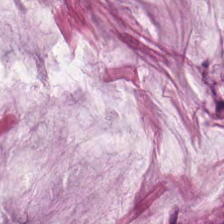FFPE; brightfield; H&E — The predominant tissue is mucin.
